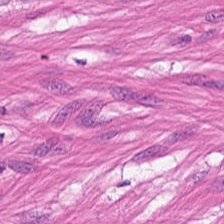Hematoxylin-and-eosin stained section.
Classification: muscularis.
